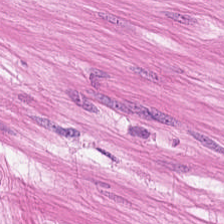Q: Identify the tissue.
A: This is muscularis.
